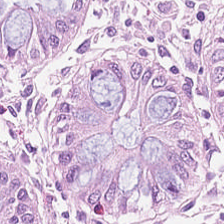H&E-stained tissue section. Tissue — normal colon mucosa.
